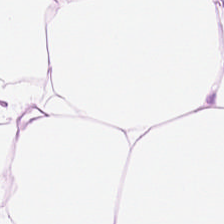Hematoxylin and eosin. Brightfield — This field is adipose tissue.
